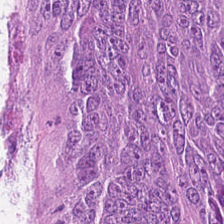FFPE; hematoxylin and eosin — Tissue — tumor epithelium.
